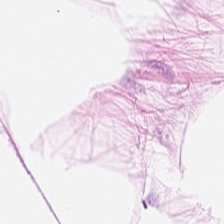Hematoxylin-and-eosin stained section.
This patch shows adipose tissue.
